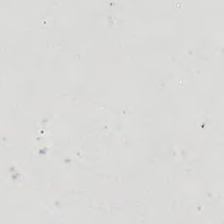Q: What is shown in this field?
A: No tissue.
